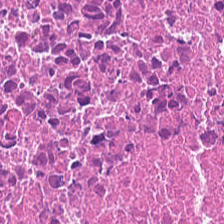Hematoxylin-and-eosin section: cellular debris.
